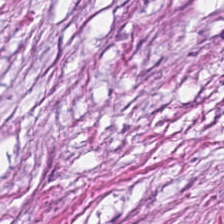FFPE tissue section; 224×224 px patch; H&E.
Q: What tissue type is shown here?
A: It is desmoplastic stroma.
